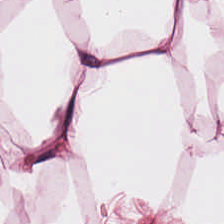Hematoxylin-and-eosin stained section — Classification — fat tissue.
